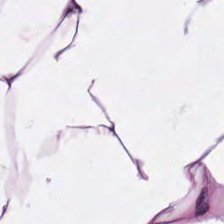Hematoxylin-and-eosin stained section. Showing fat tissue.
